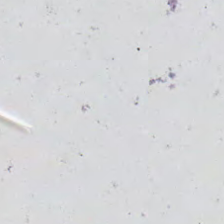Hematoxylin-and-eosin stained section; brightfield microscopy; 0.5 microns per pixel. Classification = empty background.
